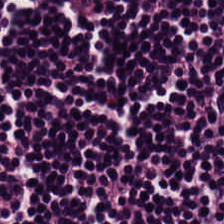Brightfield microscopy. H&E. FFPE.
Lymphoid infiltrate.
